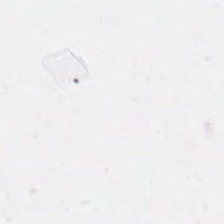Brightfield microscopy · H&E stain — Q: What is shown in this field?
A: This is background.
